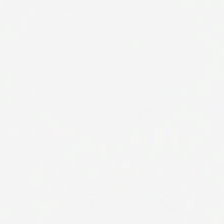FFPE tissue section · 224×224 pixel tile · hematoxylin and eosin. Q: What is shown here?
A: This is empty background.
